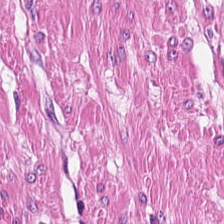H&E-stained tissue section; FFPE; 0.5 µm per pixel. This patch shows smooth-muscle tissue.
